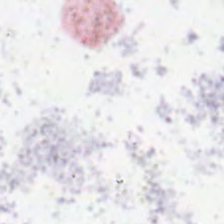H&E. Field content: no tissue.
